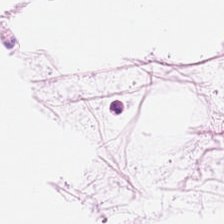Hematoxylin-and-eosin stained section — Predominantly fat tissue.
